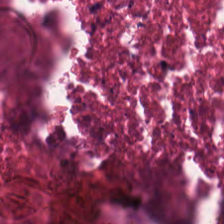Formalin-fixed paraffin-embedded section; hematoxylin-and-eosin stained section.
This patch shows debris.
